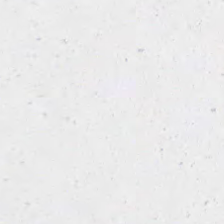Brightfield; formalin-fixed paraffin-embedded section; hematoxylin-and-eosin stained section.
This patch shows background.
